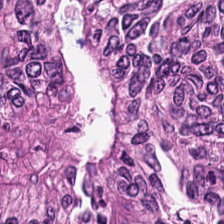The classification is colorectal adenocarcinoma.
